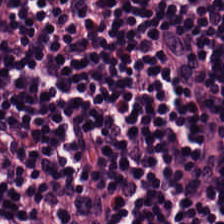Showing lymphocytic infiltrate.
